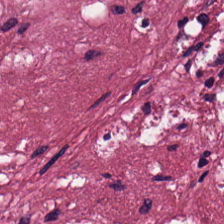224×224 px patch · H&E.
Finding → desmoplastic stroma.
